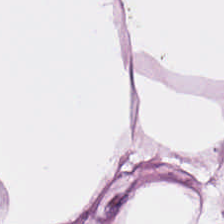Q: What does this patch show?
A: This is fat tissue.
